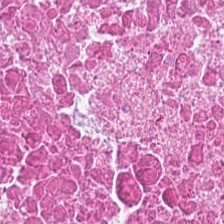H&E.
This field is necrotic debris.
